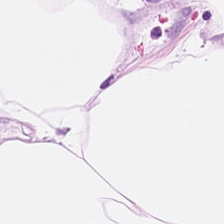Histology → adipocytes.
